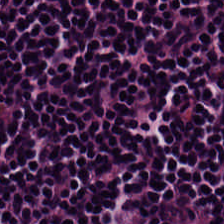H&E stain · 224×224 px patch — Lymphocyte aggregate.
